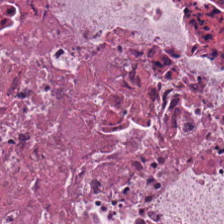Finding — debris.
